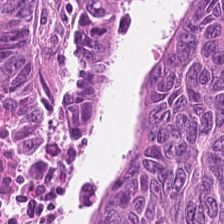Hematoxylin-and-eosin stained section. 0.5 µm per pixel. Brightfield microscopy.
Histology → adenocarcinoma.
